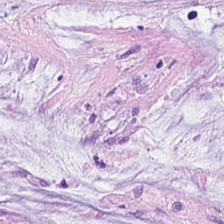H&E stain · brightfield microscopy.
{"tissue_type": "extracellular mucin"}
